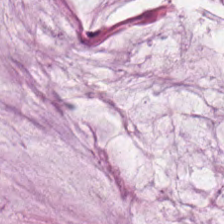H&E-stained tissue section · FFPE · 224×224 px tile — Q: What is shown in this field?
A: The field shows extracellular mucin.
